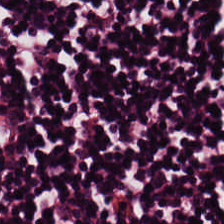H&E-stained tissue section. Q: What is shown in this field?
A: This is lymphocytes.
